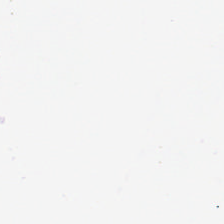Background.
